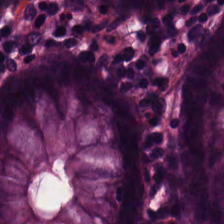Formalin-fixed paraffin-embedded section · hematoxylin-and-eosin stained section · 224×224 px tile. Tissue class — normal colonic mucosa.
